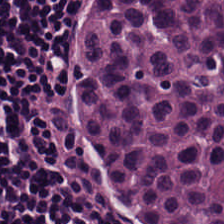H&E-stained tissue section — Q: What tissue is shown?
A: Lymphocyte aggregate.
